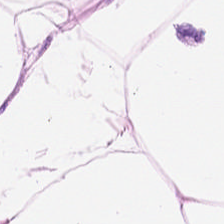Hematoxylin-and-eosin stained section.
Tissue type = adipocytes.
